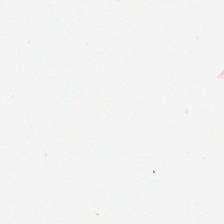Stain: hematoxylin and eosin.
Tile size: 224×224 px tile.
Content: no tissue.
